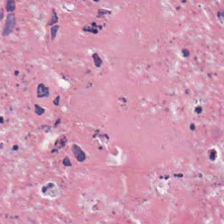Hematoxylin and eosin. The tissue here is debris.
